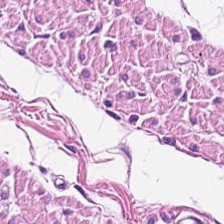H&E.
Showing smooth muscle.
